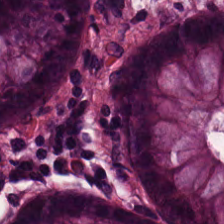Stain: H&E.
Tissue type: benign colonic mucosa.
